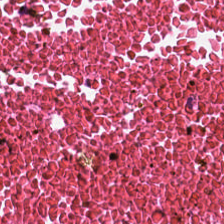FFPE tissue section. H&E — This field is cellular debris.
